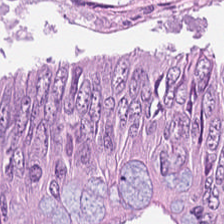{"tissue_type": "colorectal adenocarcinoma"}
